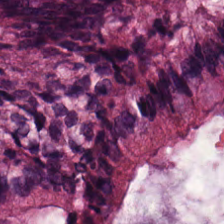Hematoxylin and eosin — This field is normal colonic mucosa.
